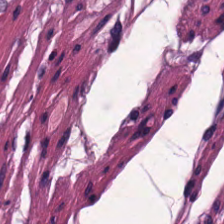Formalin-fixed paraffin-embedded section · hematoxylin and eosin · brightfield microscopy — Predominantly muscularis.
